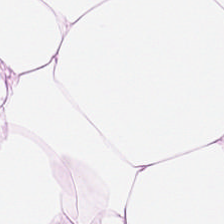Stain: H&E.
Tissue type: adipose.
